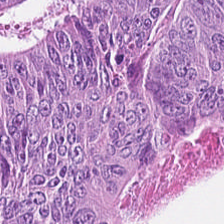224×224 pixel tile · H&E stain. This patch shows colorectal adenocarcinoma epithelium.
